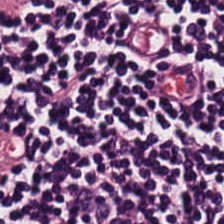Hematoxylin and eosin.
The tissue is lymphoid infiltrate.
